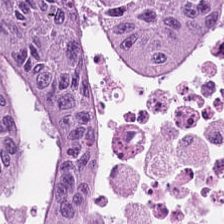20× equivalent magnification · whole-slide-image patch · hematoxylin and eosin.
This field is adenocarcinoma.
